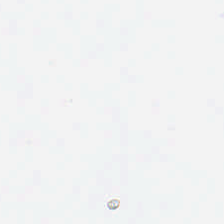{"content": "background (no tissue)"}
